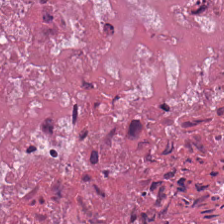0.5 microns per pixel · whole-slide-image patch · hematoxylin and eosin.
Q: What does this patch show?
A: The field shows necrotic debris.
